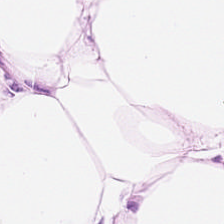20× equivalent magnification · H&E-stained tissue section — {"tissue_type": "fat tissue"}
